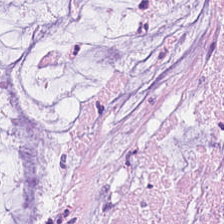Formalin-fixed paraffin-embedded section; H&E stain — Predominantly mucin.
